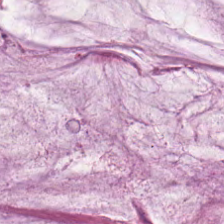224×224 px patch; H&E.
Q: What type of tissue is this?
A: This is mucus.
